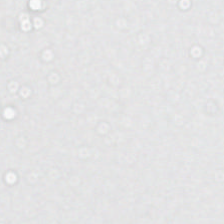Hematoxylin and eosin — Classification: background.
